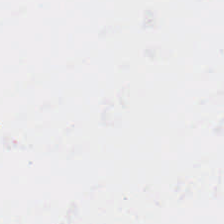Hematoxylin-and-eosin stained section. This patch shows empty background.
